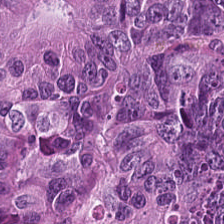This field is colorectal adenocarcinoma epithelium.
